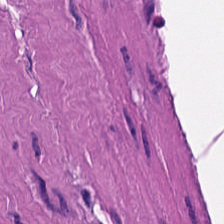Brightfield microscopy; hematoxylin-and-eosin stained section.
Q: What is the predominant tissue type?
A: It is muscularis.
